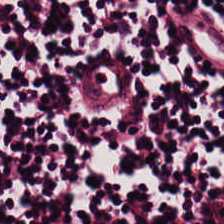Hematoxylin and eosin; FFPE.
Predominantly lymphocyte aggregate.
